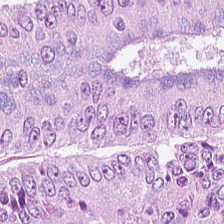H&E-stained tissue section. Showing malignant epithelium.
